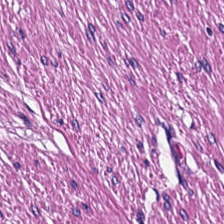{"tissue_type": "smooth muscle"}
